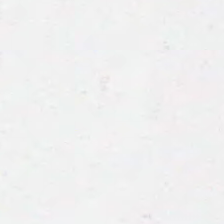H&E-stained tissue section.
This patch shows no tissue.
